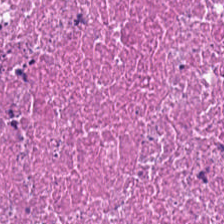20× equivalent magnification; FFPE; hematoxylin and eosin — Q: What tissue type is shown here?
A: Cellular debris.
